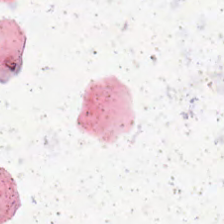H&E — Q: Classify this patch.
A: It is no tissue.
